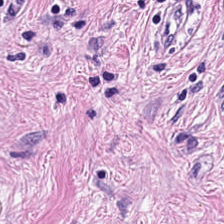H&E patch showing cancer-associated stroma.
